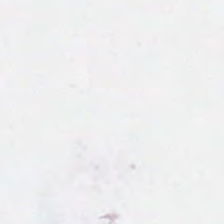H&E stain. No tissue present; background only.
